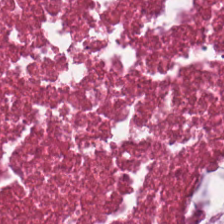H&E-stained tissue section. This field is debris.
